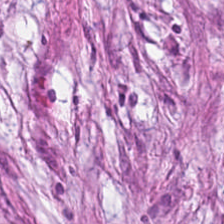Formalin-fixed paraffin-embedded section; hematoxylin and eosin — Q: What does this patch show?
A: This is desmoplastic stroma.
